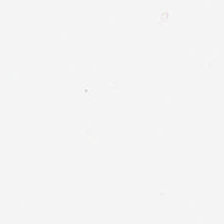Hematoxylin-and-eosin stained section.
Q: What is shown in this field?
A: The field shows empty background.
